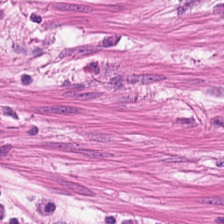20× equivalent magnification. Brightfield microscopy. H&E stain — Predominant tissue = smooth muscle.
